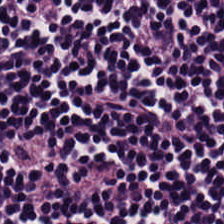Hematoxylin-and-eosin stained section — This field is lymphoid infiltrate.
